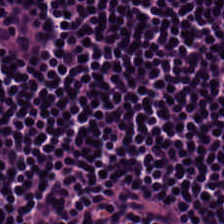Brightfield · hematoxylin and eosin. Classification — lymphocyte aggregate.
